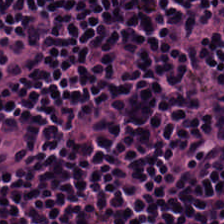H&E stain. Predominantly lymphoid infiltrate.
